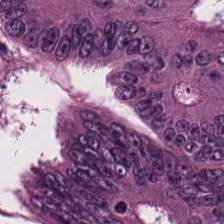H&E-stained tissue section — This patch shows malignant epithelium.
